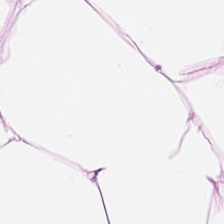H&E patch showing adipocytes.
